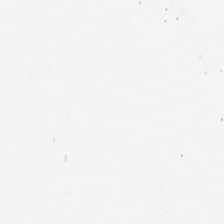20× equivalent magnification; H&E-stained tissue section; 224×224 pixel tile. No tissue present; background only.
